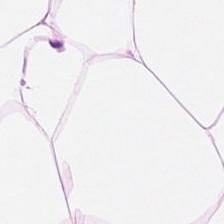H&E stain.
Tissue = adipocytes.
